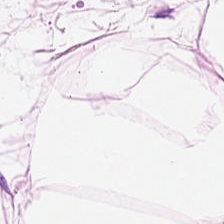Q: What type of tissue is this?
A: It is adipose tissue.
